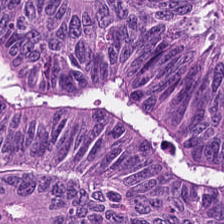Brightfield · hematoxylin-and-eosin stained section — Histology → colorectal adenocarcinoma epithelium.
